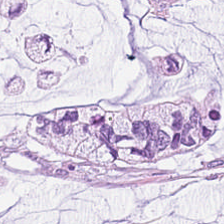H&E stain. Tissue class — extracellular mucin.
